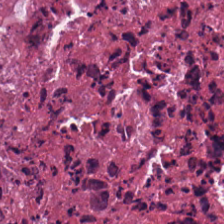Whole-slide-image patch. H&E. 224×224 px patch. This patch shows cellular debris.
